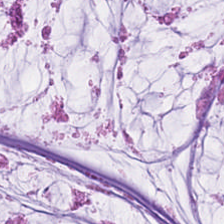0.5 µm per pixel · H&E. Impression — mucin.
